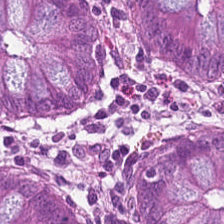Impression — normal colon mucosa.
